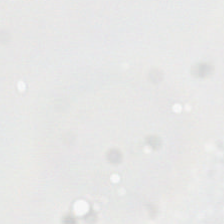H&E.
This field is background (no tissue).
